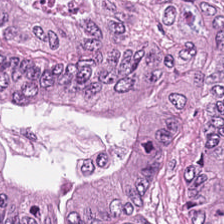H&E-stained tissue section. Showing adenocarcinoma.
